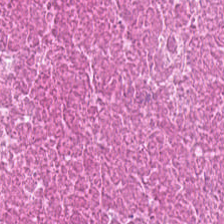H&E-stained tissue section; formalin-fixed paraffin-embedded section; 0.5 microns per pixel.
Classification — debris.
